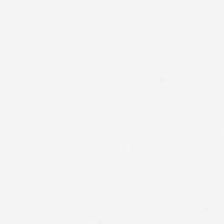{"content": "background"}
